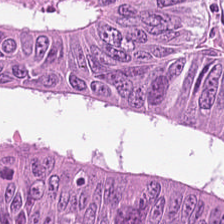Hematoxylin-and-eosin stained section — Q: What is the predominant tissue type?
A: It is colorectal adenocarcinoma.
